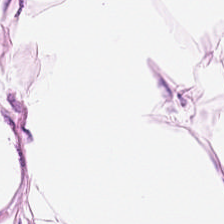H&E patch showing adipocytes.
